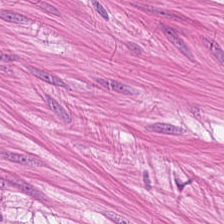Hematoxylin-and-eosin section: smooth-muscle tissue.
